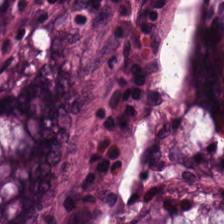Hematoxylin-and-eosin stained section. 20× equivalent magnification. Whole-slide-image patch — This patch shows non-neoplastic colon mucosa.
